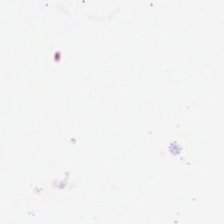H&E-stained tissue section — Q: What does this patch show?
A: No tissue.
